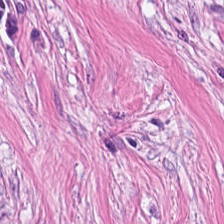H&E stain — The predominant tissue is tumor-associated stroma.
